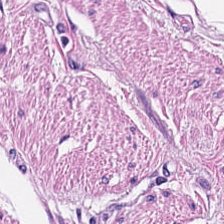Brightfield microscopy · H&E-stained tissue section — Tissue class: smooth-muscle tissue.
